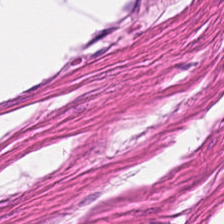Q: What type of tissue is this?
A: This is smooth-muscle tissue.
